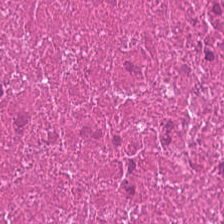0.5 µm per pixel · H&E stain · brightfield microscopy — Tissue type = cellular debris.
